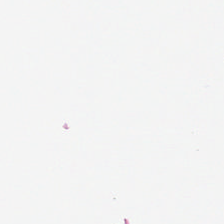Brightfield microscopy; H&E stain. This patch shows background.
